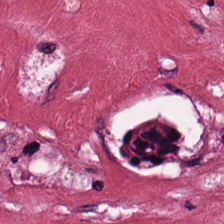H&E stain. Showing desmoplastic stroma.
